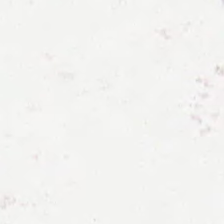FFPE tissue section; H&E stain. {"content": "empty background"}
